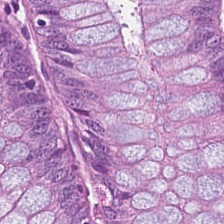Stain: H&E stain.
Resolution: 20× equivalent magnification.
Preparation: formalin-fixed paraffin-embedded section.
Predominant tissue: benign colonic mucosa.
